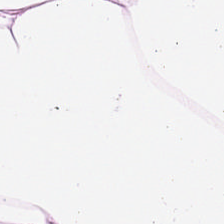Hematoxylin-and-eosin stained section; 20× equivalent magnification — Q: What does this patch show?
A: The field shows fat tissue.
